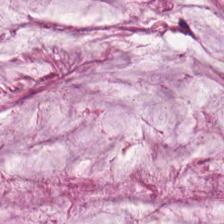H&E-stained tissue section.
{"tissue_type": "mucin"}
